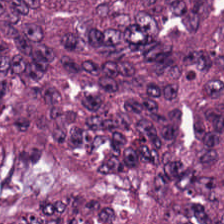H&E-stained tissue section. The tissue here is tumor epithelium.
